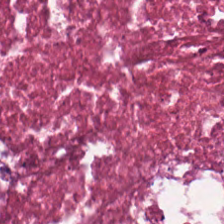H&E-stained tissue section; brightfield — {"tissue_type": "debris"}
